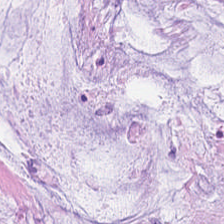20× equivalent magnification. H&E. WSI patch — The tissue type is mucus.
